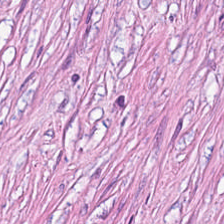Stain: H&E stain.
Tissue class: cancer-associated stroma.
